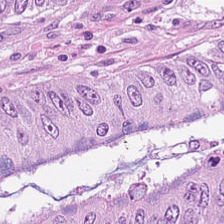Hematoxylin-and-eosin section: adenocarcinoma.
